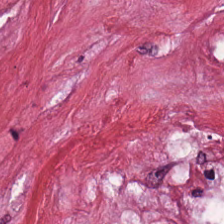Stain: H&E.
Resolution: 0.5 microns per pixel.
Tile size: 224×224 pixel tile.
Predominant tissue: tumor-associated stroma.
